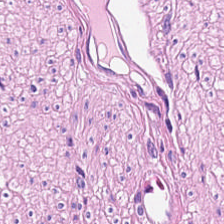{"tissue_type": "smooth muscle"}
